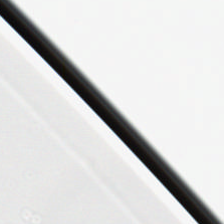H&E — {"content": "no tissue"}
